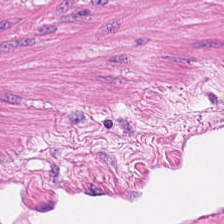Hematoxylin-and-eosin stained section — Showing muscularis.
